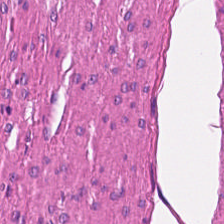Tissue: muscularis.
